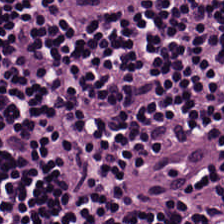224×224 pixel tile. 0.5 µm per pixel. H&E-stained tissue section — This patch shows lymphocyte aggregate.
